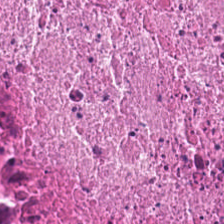H&E stain.
Q: What does this patch show?
A: This is debris.
